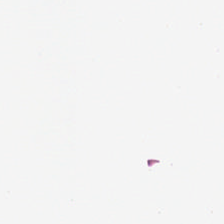Q: What is shown in this field?
A: It is background.
